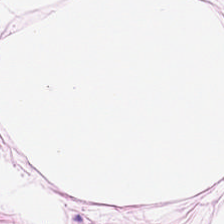FFPE tissue section; H&E; 0.5 µm per pixel — Tissue: adipose.
